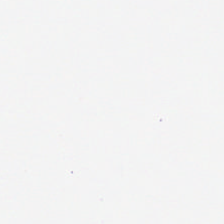Q: What is shown here?
A: The field shows background (no tissue).
